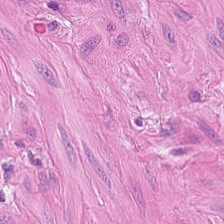H&E-stained tissue section · 0.5 µm/px. Histology → smooth muscle.
